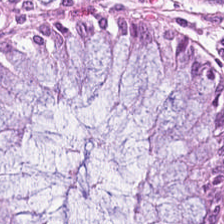Stain: hematoxylin-and-eosin stained section.
Tissue class: benign colonic mucosa.
